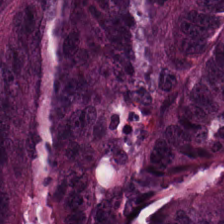Hematoxylin and eosin — Tissue: colorectal adenocarcinoma epithelium.
